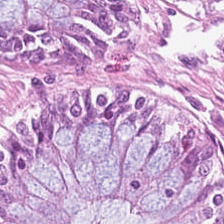H&E patch showing benign colonic mucosa.
